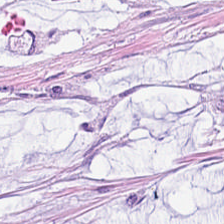Showing extracellular mucin.
